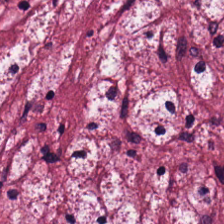Tissue: tumor stroma.
